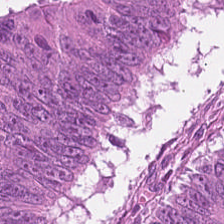0.5 µm/px · FFPE · hematoxylin-and-eosin stained section.
Q: What tissue type is shown here?
A: It is tumor epithelium.
